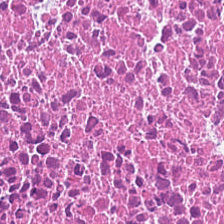Stain: hematoxylin and eosin.
Predominant tissue: debris.
